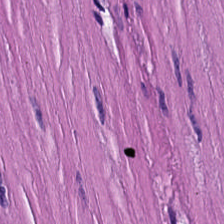Showing muscularis.
